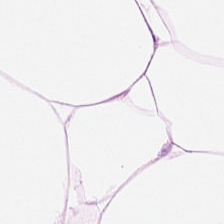This field is adipose.
